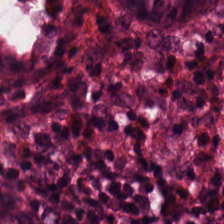H&E-stained tissue section. Q: What does this patch show?
A: Normal colon mucosa.
